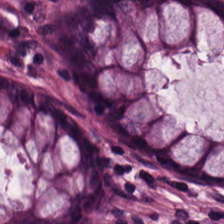Hematoxylin-and-eosin stained section; 224×224 px tile; brightfield microscopy — Q: What type of tissue is this?
A: It is normal colon mucosa.
